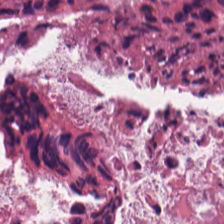Stain: hematoxylin-and-eosin stained section.
Tissue type: debris.
